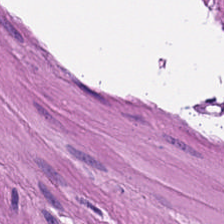FFPE tissue section · H&E stain.
Impression → muscularis.
